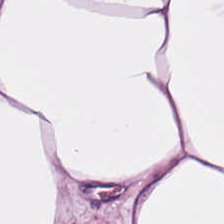H&E-stained section; the field shows adipocytes.
